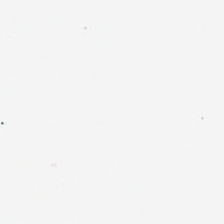0.5 µm/px. Hematoxylin and eosin. 224×224 px patch — Q: What does this patch show?
A: The field shows empty background.
